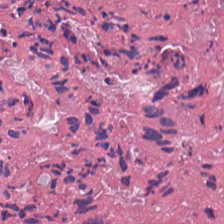The classification is debris.
